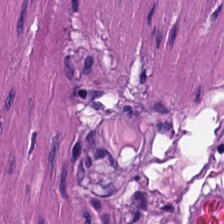H&E. Q: What tissue is shown?
A: Smooth muscle.
